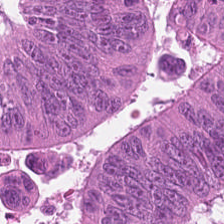Formalin-fixed paraffin-embedded section · 0.5 µm per pixel · H&E.
Histology → adenocarcinoma.
